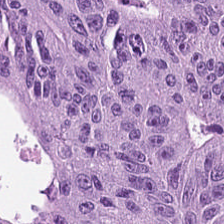Hematoxylin and eosin.
Q: Identify the tissue.
A: The field shows malignant epithelium.
